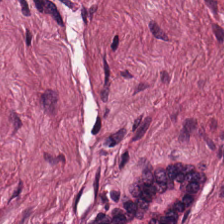Hematoxylin and eosin — {"tissue_type": "desmoplastic stroma"}
